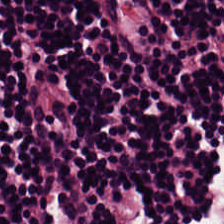H&E-stained tissue section · WSI patch · 224×224 pixel tile. Classification = lymphocytes.
